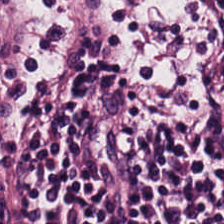H&E. WSI patch. 0.5 µm/px. This patch shows lymphocytes.
